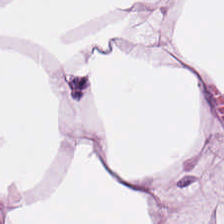H&E stain — Q: What is the predominant tissue type?
A: The field shows adipose tissue.
